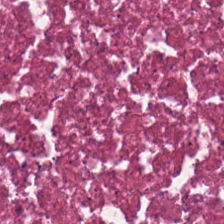H&E stain — Tissue = cellular debris.
